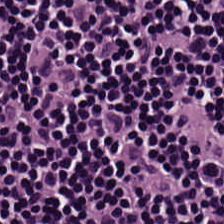Hematoxylin-and-eosin stained section; FFPE — Classification — lymphocytic infiltrate.
